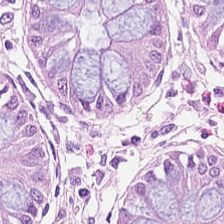Tissue: non-neoplastic colon mucosa.
